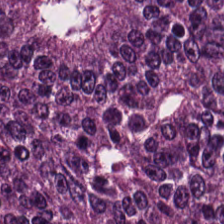The tissue here is adenocarcinoma.
